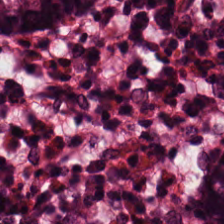Hematoxylin and eosin; 20× equivalent magnification.
Showing normal colon mucosa.
